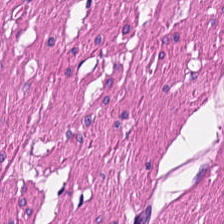H&E stain. Tissue type: muscularis.
